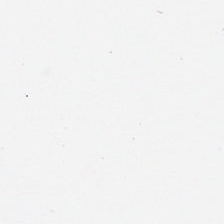Hematoxylin-and-eosin stained section — Background — no tissue in this field.
